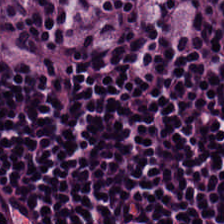This patch shows lymphocytic infiltrate.
